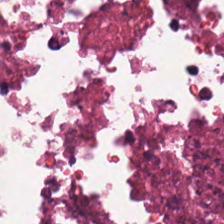Hematoxylin and eosin; 0.5 µm per pixel.
This field is debris.
